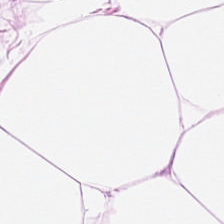WSI patch · FFPE · H&E.
Predominantly fat tissue.
